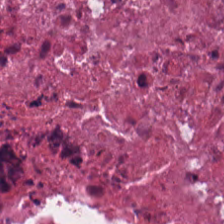H&E stain.
This field is debris.
